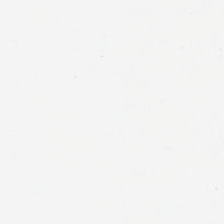H&E-stained tissue section; 20× equivalent magnification — Background — no tissue in this field.
